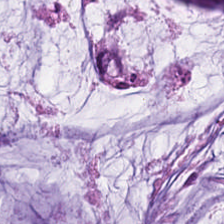Formalin-fixed paraffin-embedded section; H&E. The tissue here is mucin.
